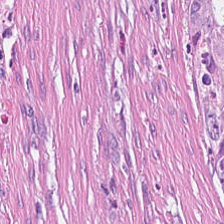Stain: H&E-stained tissue section.
Tissue type: cancer-associated stroma.
